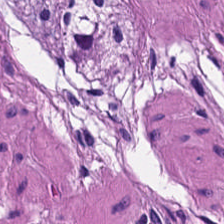Stain: hematoxylin-and-eosin stained section.
Tile size: 224×224 px tile.
Predominant tissue: muscularis.
